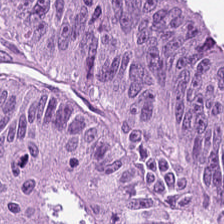H&E-stained tissue section; 20× equivalent magnification; 224×224 pixel tile — This field is tumor epithelium.
